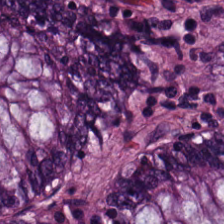H&E.
Classification — non-neoplastic colon mucosa.
